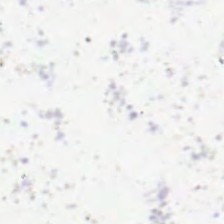Hematoxylin-and-eosin stained section. Background — no tissue in this field.
